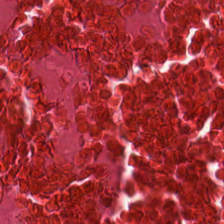Hematoxylin-and-eosin stained section — Q: What is shown in this field?
A: Necrotic debris.
